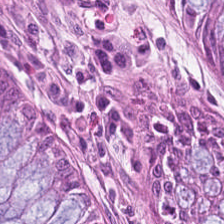H&E stain. The tissue here is benign colonic mucosa.
